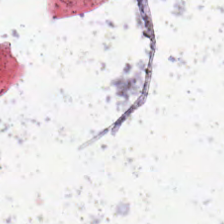The classification is background (no tissue).
